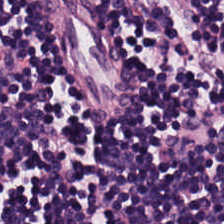H&E. Tissue class — lymphocyte aggregate.
